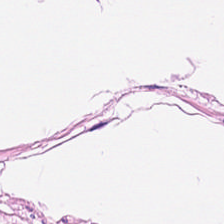Hematoxylin and eosin — Classification: smooth-muscle tissue.
